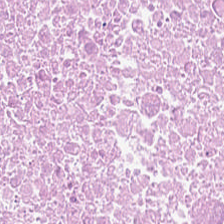Stain: H&E-stained tissue section.
Tissue type: necrotic debris.
